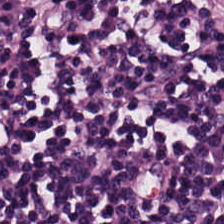Hematoxylin-and-eosin stained section — This patch shows lymphoid infiltrate.
